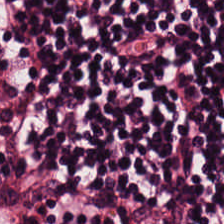H&E-stained tissue section. 0.5 µm/px. 224×224 px tile. Tissue: lymphoid infiltrate.
